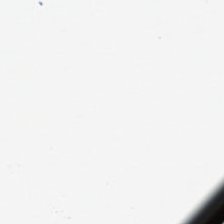H&E stain. Brightfield.
Empty background.
